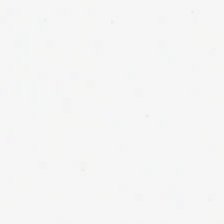Classification: empty background.
